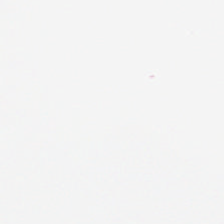H&E stain. No tissue present; background only.
